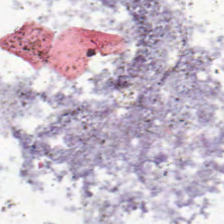Hematoxylin-and-eosin stained section — Q: What is shown here?
A: The field shows no tissue.
